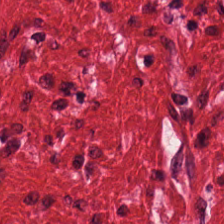H&E — Histology → muscularis.
